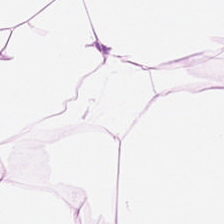0.5 µm per pixel · H&E stain — Q: What does this patch show?
A: Fat tissue.
